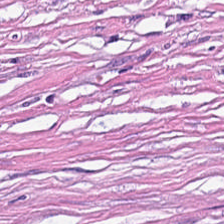Hematoxylin and eosin. Brightfield. The tissue here is tumor-associated stroma.
